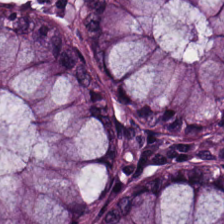Formalin-fixed paraffin-embedded section; hematoxylin and eosin. Non-neoplastic colon mucosa.
